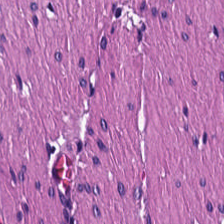Hematoxylin-and-eosin stained section; 20× equivalent magnification; FFPE tissue section. Q: What is the predominant tissue type?
A: The field shows muscularis.
